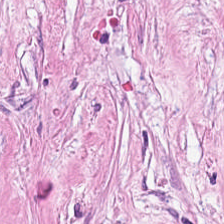H&E-stained tissue section. Formalin-fixed paraffin-embedded section — Tissue — tumor-associated stroma.
